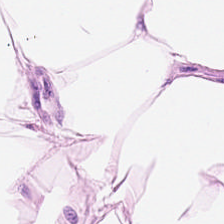WSI patch · H&E · 0.5 µm/px — Showing adipose.
